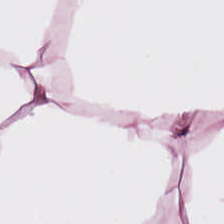H&E · 0.5 µm/px. {"tissue_type": "fat tissue"}
